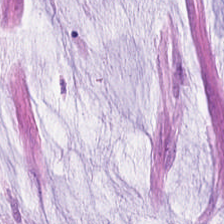Whole-slide-image patch; H&E stain.
Extracellular mucin.
